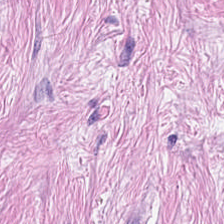Hematoxylin and eosin. This patch shows tumor-associated stroma.
